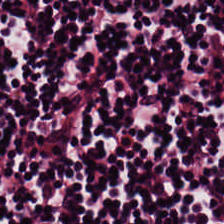Hematoxylin and eosin.
Tissue class = lymphocytic infiltrate.
